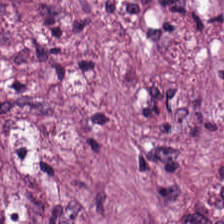224×224 px patch. H&E. FFPE — Tissue type = desmoplastic stroma.
